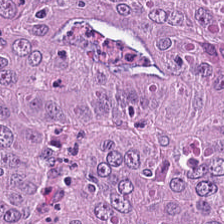224×224 px patch; FFPE tissue section; H&E. Q: What is the predominant tissue type?
A: It is colorectal adenocarcinoma epithelium.
